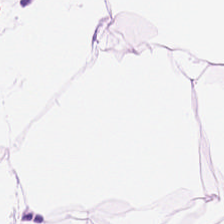Brightfield microscopy. H&E-stained tissue section.
This patch shows adipose tissue.
